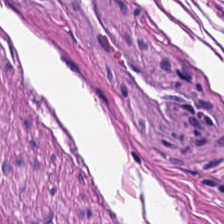H&E-stained tissue section — {"tissue_type": "smooth muscle"}
